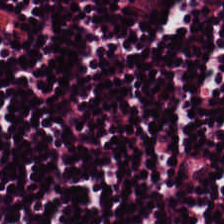Showing lymphocyte aggregate.
